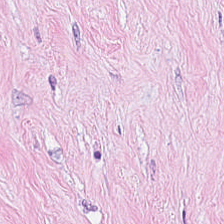This patch shows desmoplastic stroma.
